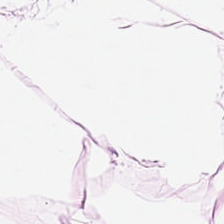H&E.
Predominantly adipose.
